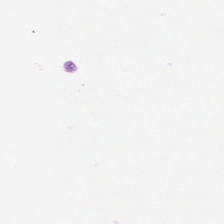WSI patch · hematoxylin-and-eosin stained section. The classification is empty background.
